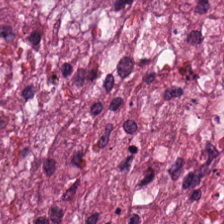224×224 pixel tile · hematoxylin-and-eosin stained section.
The predominant tissue is debris.
